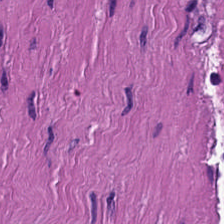0.5 µm/px. H&E-stained tissue section.
Q: What is the predominant tissue type?
A: The field shows smooth-muscle tissue.
